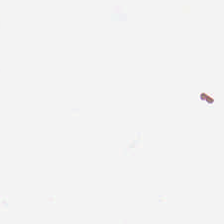Hematoxylin-and-eosin stained section. 224×224 px tile. WSI patch. Background (no tissue).
